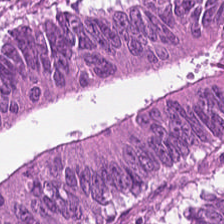H&E.
Q: What is shown in this field?
A: The field shows tumor epithelium.
